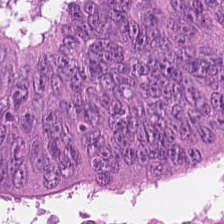0.5 µm per pixel. H&E stain. Q: What is the predominant tissue type?
A: It is adenocarcinoma.
